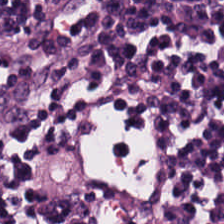H&E.
Showing lymphoid infiltrate.
